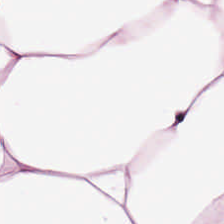H&E stain — Tissue type — adipose.
